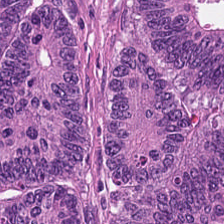Classification = colorectal adenocarcinoma epithelium.
